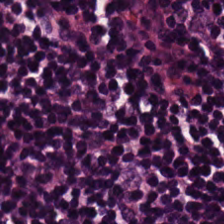Hematoxylin-and-eosin stained section — The tissue class is lymphocytes.
